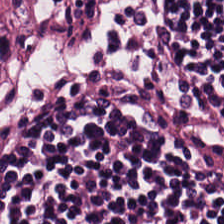H&E-stained tissue section. FFPE tissue section.
Predominantly lymphocyte aggregate.
